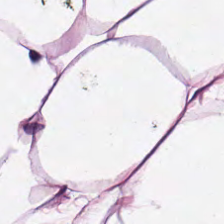Hematoxylin and eosin. WSI patch. 224×224 px patch. The tissue here is adipose.
